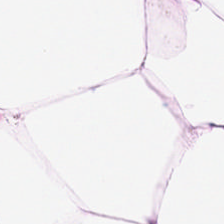H&E stain. Tissue type: fat tissue.
